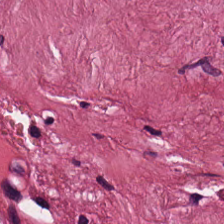Stain: H&E-stained tissue section.
Preparation: FFPE tissue section.
Resolution: 0.5 microns per pixel.
Classification: desmoplastic stroma.
